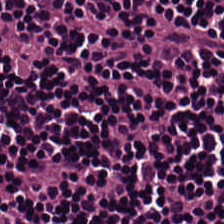H&E-stained tissue section.
Showing lymphocytic infiltrate.
